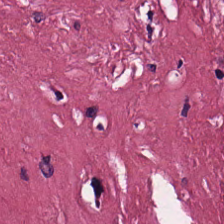Whole-slide-image patch · H&E.
Q: What tissue type is shown here?
A: Tumor-associated stroma.
